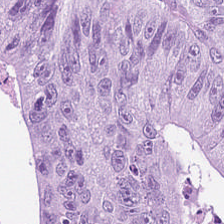H&E stain.
Tissue type: malignant epithelium.
